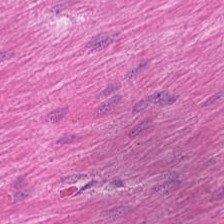Hematoxylin and eosin. The predominant tissue is smooth muscle.
